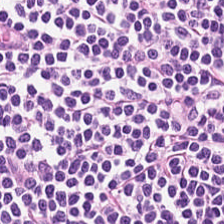0.5 µm per pixel. Hematoxylin-and-eosin stained section. Q: What does this patch show?
A: Lymphocyte aggregate.
